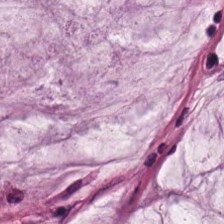H&E. Whole-slide-image patch.
Q: Identify the tissue.
A: It is mucin.
